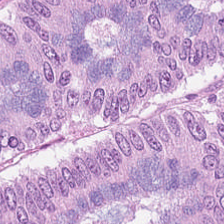H&E-stained tissue section.
{"tissue_type": "tumor epithelium"}
